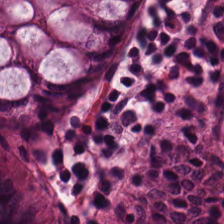FFPE tissue section; 224×224 pixel tile; hematoxylin-and-eosin stained section.
Q: What tissue is shown?
A: Non-neoplastic colon mucosa.
